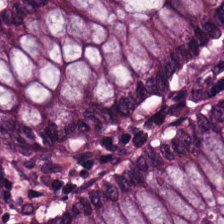Hematoxylin and eosin · formalin-fixed paraffin-embedded section — Tissue type: normal colonic mucosa.
